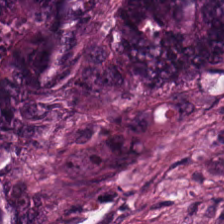H&E — The predominant tissue is colorectal adenocarcinoma.
